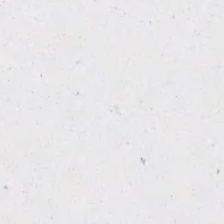H&E-stained tissue section. Empty field — background (no tissue).
